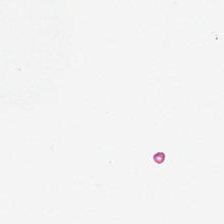Hematoxylin-and-eosin stained section — Q: What is shown in this field?
A: The field shows background (no tissue).
